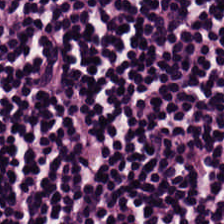Q: What is shown in this field?
A: The field shows lymphocytes.
